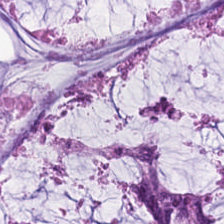Hematoxylin-and-eosin stained section · FFPE. Q: What tissue type is shown here?
A: This is mucus.
